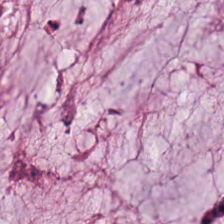Hematoxylin and eosin.
Q: What is shown in this field?
A: It is mucin.
